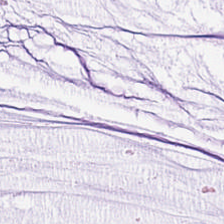Hematoxylin and eosin — The predominant tissue is mucin.
